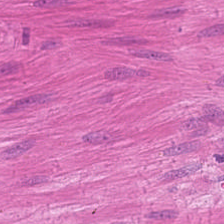H&E stain.
Showing muscularis.
